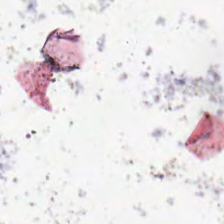H&E — Background.
